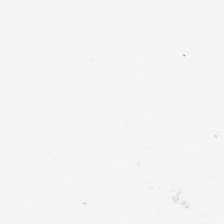0.5 microns per pixel; hematoxylin and eosin; 224×224 pixel tile.
Showing adipocytes.
